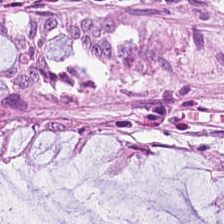Q: What is shown in this field?
A: It is non-neoplastic colon mucosa.
